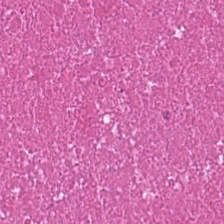224×224 px patch · hematoxylin and eosin.
Q: What is shown in this field?
A: This is necrotic debris.
